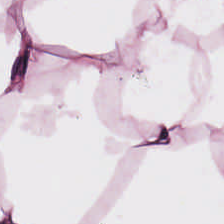H&E · FFPE tissue section. The tissue class is adipose.
